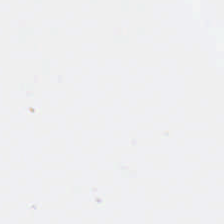Field content = background.
